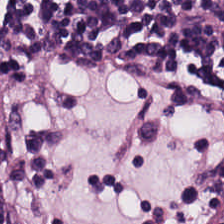H&E.
Tissue class = lymphocytic infiltrate.
